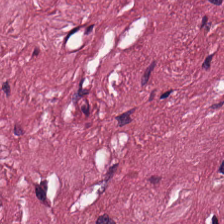0.5 microns per pixel; H&E; 224×224 pixel tile.
Impression → cancer-associated stroma.
